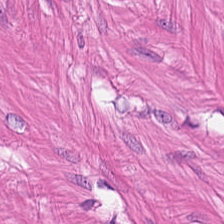20× equivalent magnification · FFPE · hematoxylin and eosin.
Tissue — smooth muscle.
